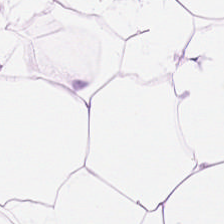Histology — adipose tissue.
